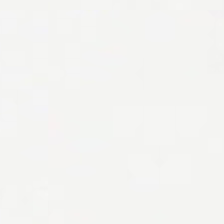0.5 microns per pixel; H&E — Q: What does this patch show?
A: The field shows background (no tissue).
